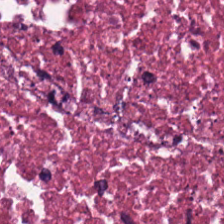H&E stain. Q: What tissue is shown?
A: The field shows necrotic debris.
